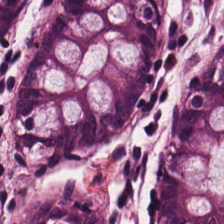FFPE; H&E — Showing normal colon mucosa.
